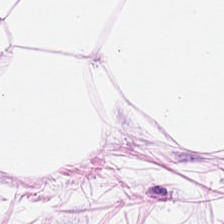20× equivalent magnification; 224×224 px tile; H&E. Tissue: fat tissue.
